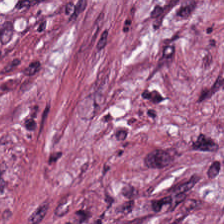Stain: hematoxylin-and-eosin stained section.
Tissue class: tumor stroma.
